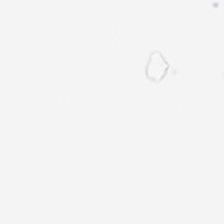H&E — No tissue present; background only.
